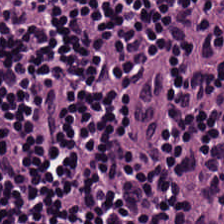H&E — Tissue = lymphocytic infiltrate.
